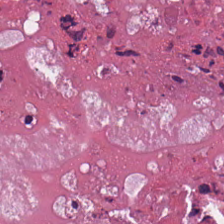H&E · FFPE tissue section. The predominant tissue is debris.
